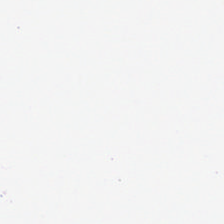Hematoxylin and eosin. This patch shows empty background.
